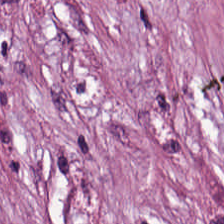H&E-stained tissue section; 224×224 px tile.
Impression → cancer-associated stroma.
